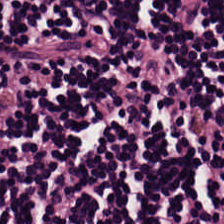20× equivalent magnification · H&E stain.
Tissue — lymphoid infiltrate.
